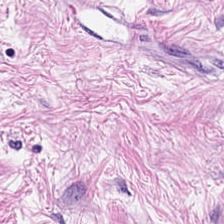H&E stain; 224×224 px tile. Histology → cancer-associated stroma.
